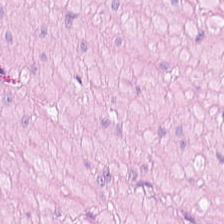Finding → muscularis.
